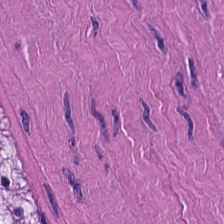H&E-stained tissue section.
Histology — muscularis.
